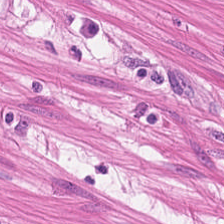Hematoxylin-and-eosin stained section. Showing smooth muscle.
